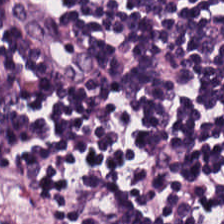Hematoxylin and eosin. Q: What is shown here?
A: Lymphoid infiltrate.
